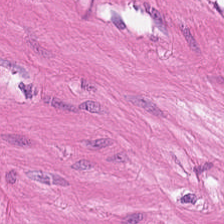Smooth-muscle tissue.
